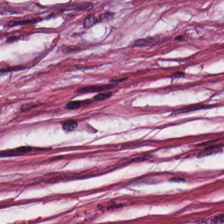H&E-stained tissue section — Q: What is the predominant tissue type?
A: The field shows desmoplastic stroma.
